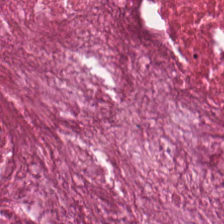H&E stain. 0.5 µm/px. Formalin-fixed paraffin-embedded section — Tissue class: cellular debris.
